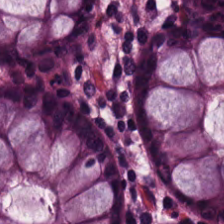H&E-stained tissue section · brightfield microscopy. Q: What is shown here?
A: The field shows normal colon mucosa.
